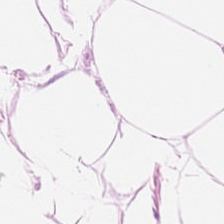Formalin-fixed paraffin-embedded section; whole-slide-image patch; H&E-stained tissue section.
Q: What tissue type is shown here?
A: Adipose tissue.
